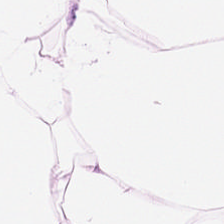224×224 px patch; H&E stain.
Impression → adipose tissue.
